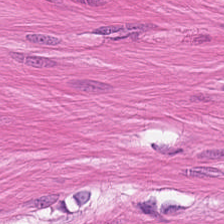H&E — Predominant tissue = smooth muscle.
